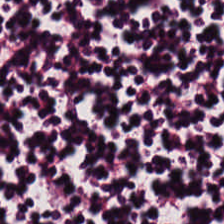Predominant tissue = lymphocytes.
